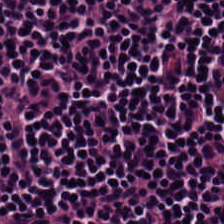H&E-stained tissue section; brightfield. This patch shows lymphocytic infiltrate.
